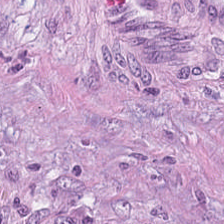{"tissue_type": "tumor stroma"}
